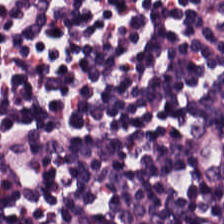Stain: H&E-stained tissue section.
Acquisition: whole-slide-image patch.
Predominant tissue: lymphocytes.
